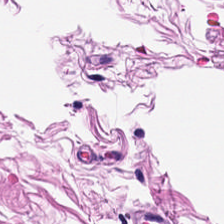H&E-stained section; the field shows smooth-muscle tissue.
